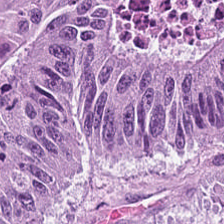Stain: H&E stain.
Resolution: 0.5 microns per pixel.
Preparation: formalin-fixed paraffin-embedded section.
Classification: malignant epithelium.
